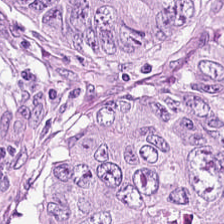224×224 px patch; H&E stain; whole-slide-image patch. {"tissue_type": "colorectal adenocarcinoma epithelium"}
